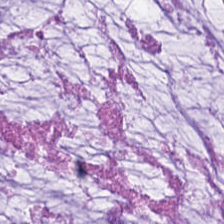Hematoxylin-and-eosin stained section. Brightfield microscopy.
Extracellular mucin.
